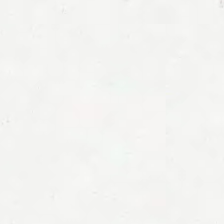The classification is background.
